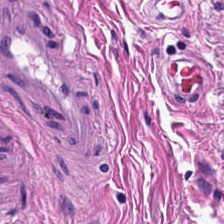Hematoxylin and eosin — Tissue type — muscularis.
